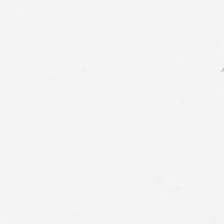Empty field — empty background.
